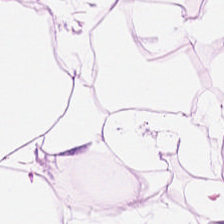H&E; FFPE tissue section.
Tissue type = fat tissue.
